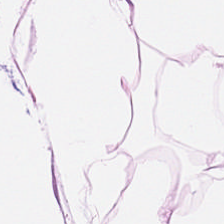Hematoxylin and eosin. Q: Identify the tissue.
A: The field shows adipocytes.
